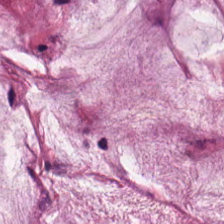The classification is extracellular mucin.
